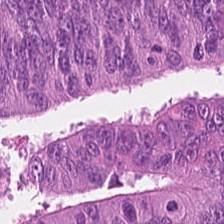Stain: H&E stain.
Tissue class: colorectal adenocarcinoma epithelium.
